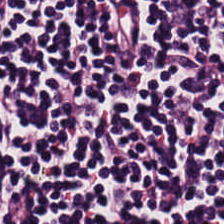{"tissue_type": "lymphocytic infiltrate"}
